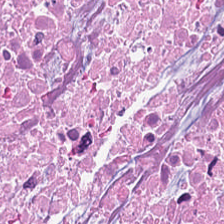224×224 px patch; H&E-stained tissue section — Tissue: necrotic debris.
